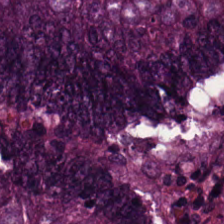Formalin-fixed paraffin-embedded section · H&E stain. This patch shows tumor epithelium.
